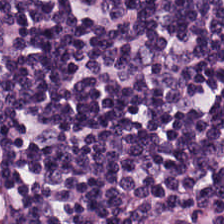Stain: H&E-stained tissue section.
Tissue class: lymphocytes.
